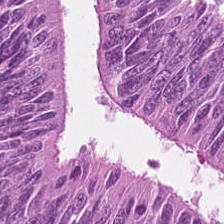Hematoxylin-and-eosin stained section. Brightfield. Q: What type of tissue is this?
A: It is colorectal adenocarcinoma epithelium.
